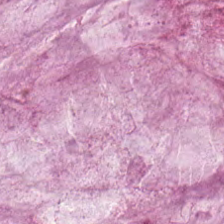FFPE tissue section. 224×224 px tile. Hematoxylin-and-eosin stained section — Predominantly mucin.
